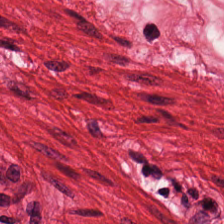This patch shows muscularis.
